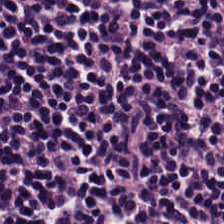Stain: hematoxylin and eosin.
Acquisition: WSI patch.
Predominant tissue: lymphocyte aggregate.
